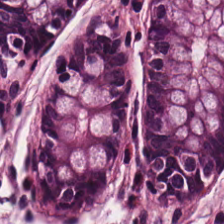H&E-stained tissue section · FFPE tissue section · 20× equivalent magnification — Normal colon mucosa.
